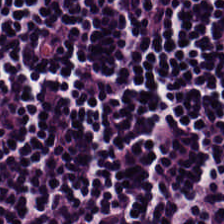H&E stain · FFPE. Predominantly lymphocytic infiltrate.
